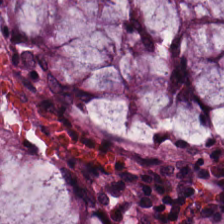H&E-stained tissue section. The predominant tissue is benign colonic mucosa.
